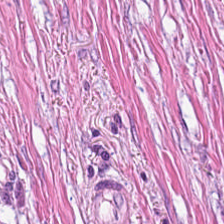H&E-stained tissue section · 0.5 µm/px.
{"tissue_type": "cancer-associated stroma"}
